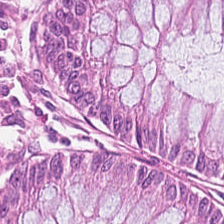Stain: H&E.
Acquisition: brightfield microscopy.
Predominant tissue: normal colon mucosa.
